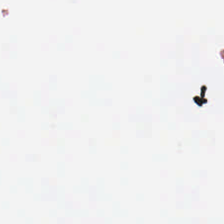WSI patch. Hematoxylin and eosin. Q: What does this patch show?
A: The field shows background (no tissue).
